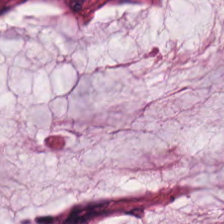Predominant tissue = mucus.
